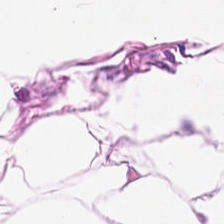H&E — Adipose.
